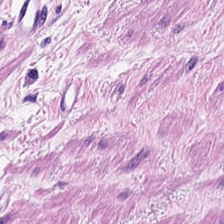H&E · WSI patch.
Showing smooth muscle.
